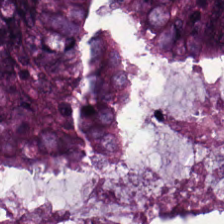Finding — colorectal adenocarcinoma.
